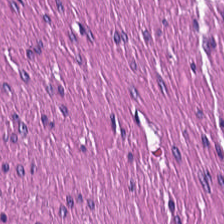The classification is muscularis.
